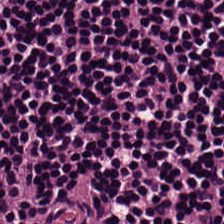Stain: hematoxylin and eosin.
Tissue type: lymphocytic infiltrate.
